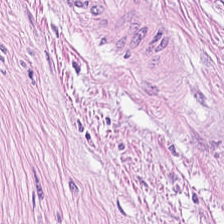Stain: H&E stain.
Acquisition: whole-slide-image patch.
Preparation: FFPE.
Tissue class: tumor-associated stroma.
